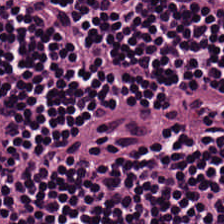Lymphocytic infiltrate.
